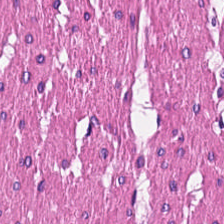Hematoxylin-and-eosin stained section.
Classification — muscularis.
